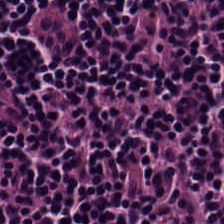Hematoxylin-and-eosin stained section; FFPE tissue section; 0.5 µm per pixel — Predominant tissue = lymphocytic infiltrate.
